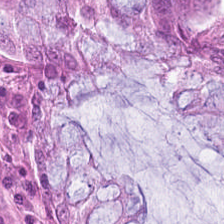Hematoxylin and eosin — Q: What is shown in this field?
A: This is normal colonic mucosa.
